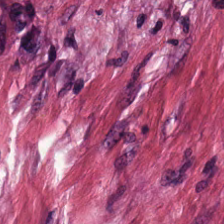Q: What is shown in this field?
A: This is tumor stroma.
